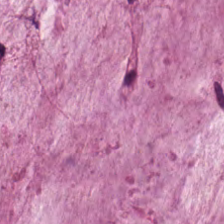Hematoxylin-and-eosin stained section — Q: What type of tissue is this?
A: The field shows mucin.
